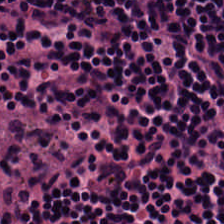Formalin-fixed paraffin-embedded section; hematoxylin-and-eosin stained section. Q: What is shown in this field?
A: Lymphocytes.
